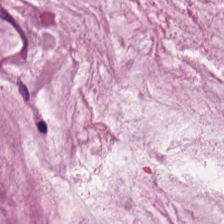The predominant tissue is mucin.
